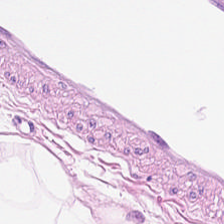Hematoxylin-and-eosin stained section — Q: What is the predominant tissue type?
A: This is adipocytes.
